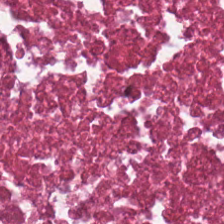Hematoxylin and eosin — Showing necrotic debris.
